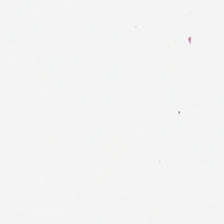Classification = empty background.
